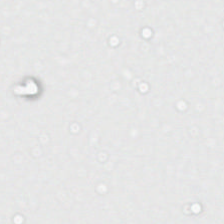H&E-stained tissue section — This patch shows background.
